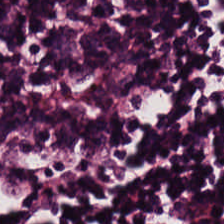Lymphoid infiltrate.
